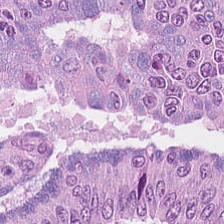Predominant tissue — adenocarcinoma.
